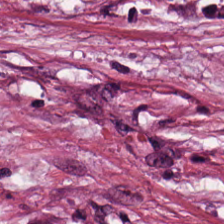Hematoxylin and eosin. The tissue type is cancer-associated stroma.
